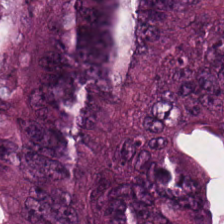Stain: H&E.
Resolution: 0.5 µm/px.
Preparation: formalin-fixed paraffin-embedded section.
Tissue type: adenocarcinoma.
